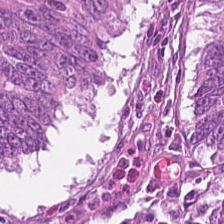Brightfield microscopy · hematoxylin and eosin.
Predominantly colorectal adenocarcinoma.
